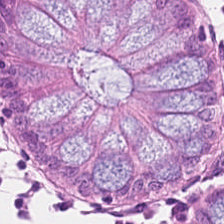H&E. 0.5 microns per pixel. Q: Classify this patch.
A: The field shows benign colonic mucosa.
